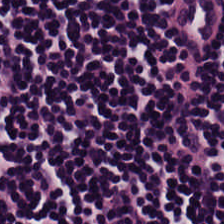Hematoxylin and eosin. Q: What tissue type is shown here?
A: This is lymphoid infiltrate.
